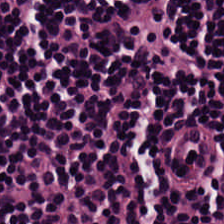Stain: hematoxylin-and-eosin stained section.
Tissue class: lymphoid infiltrate.
